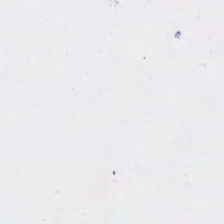Classification — background.
